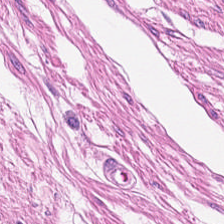Stain: hematoxylin and eosin.
Tissue type: smooth-muscle tissue.
